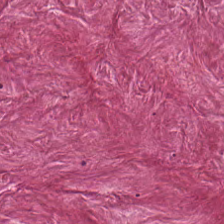Hematoxylin-and-eosin stained section.
Q: What tissue is shown?
A: This is tumor-associated stroma.
